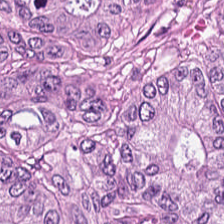H&E stain; 0.5 µm per pixel — Classification = malignant epithelium.
